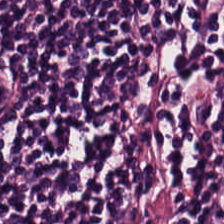Lymphocyte aggregate.
